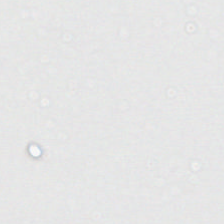No tissue present; background only.
